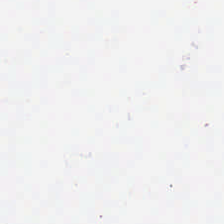H&E. Impression — background (no tissue).
